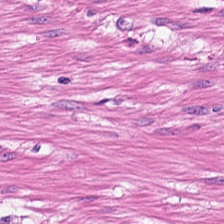This patch shows muscularis.
